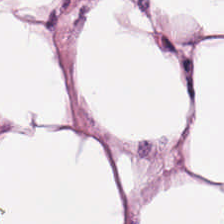Finding → adipose tissue.
